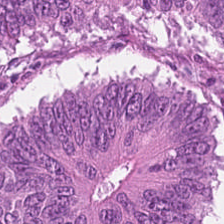Formalin-fixed paraffin-embedded section; 0.5 µm per pixel; hematoxylin-and-eosin stained section.
{"tissue_type": "tumor epithelium"}
